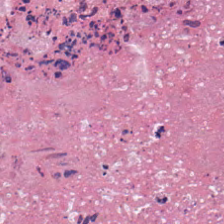Stain: H&E stain.
Tissue class: debris.
